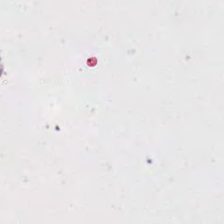H&E stain; FFPE tissue section. The field content is background (no tissue).
